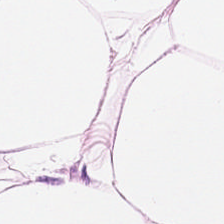Stain: H&E.
Preparation: formalin-fixed paraffin-embedded section.
Predominant tissue: adipose tissue.
